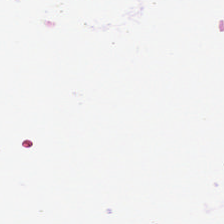H&E-stained tissue section — Content — no tissue.
